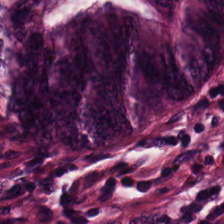H&E. Impression — malignant epithelium.
